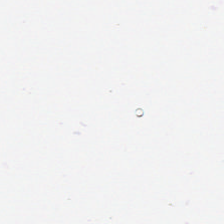Hematoxylin and eosin. 224×224 px patch. Finding — empty background.
